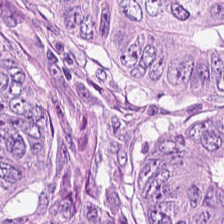The predominant tissue is colorectal adenocarcinoma.
